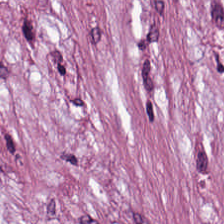The predominant tissue is tumor stroma.
